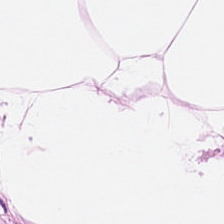H&E-stained tissue section — Q: What is shown here?
A: It is fat tissue.
